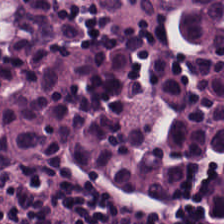FFPE tissue section. 224×224 px tile. Hematoxylin and eosin. The tissue here is lymphocytic infiltrate.
